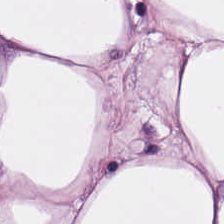20× equivalent magnification; hematoxylin and eosin. The tissue here is adipose.
